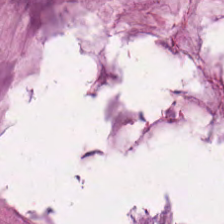Stain: H&E stain.
Acquisition: brightfield.
Predominant tissue: extracellular mucin.
